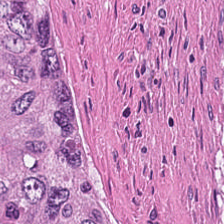H&E-stained tissue section. Q: Classify this patch.
A: This is debris.
